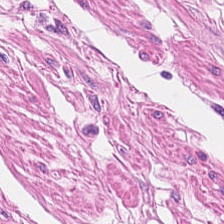H&E-stained tissue section. Tissue class: muscularis.
